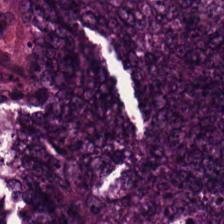H&E-stained tissue section; brightfield. Predominantly adenocarcinoma.
